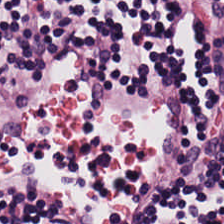Predominant tissue: lymphocytes.
